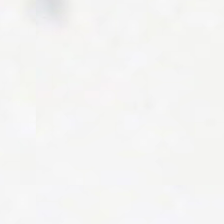H&E stain.
The field content is empty background.
